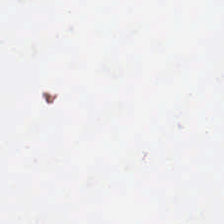Empty field — background.
